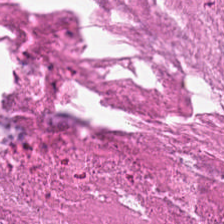H&E. FFPE — Predominant tissue = necrotic debris.
